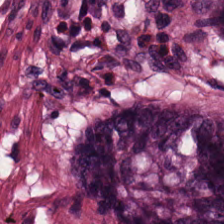Tissue class — normal colonic mucosa.
